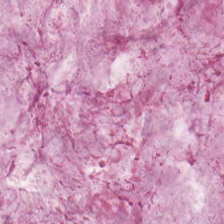H&E stain — The tissue type is extracellular mucin.
